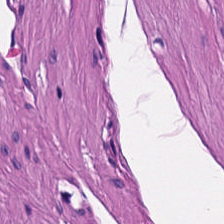Hematoxylin and eosin.
{"tissue_type": "smooth-muscle tissue"}
